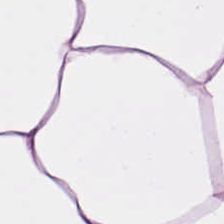H&E-stained tissue section. This patch shows fat tissue.
